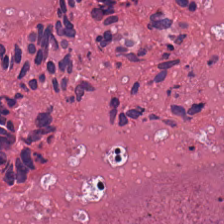Necrotic debris.
